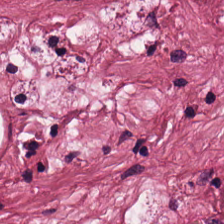Hematoxylin-and-eosin stained section. The predominant tissue is desmoplastic stroma.
